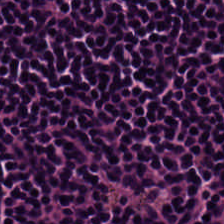H&E-stained tissue section — The classification is lymphoid infiltrate.
